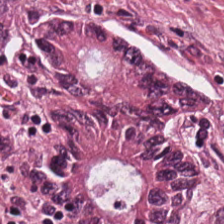Hematoxylin and eosin. This patch shows colorectal adenocarcinoma epithelium.
